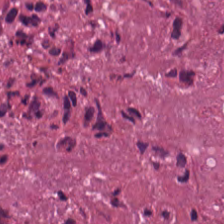224×224 px patch; H&E-stained tissue section; 20× equivalent magnification — This patch shows necrotic debris.
